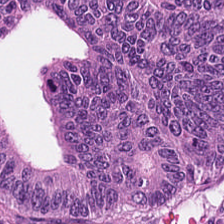Formalin-fixed paraffin-embedded section · hematoxylin-and-eosin stained section — Tumor epithelium.
